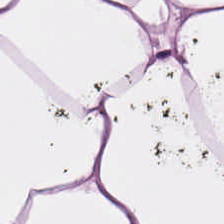H&E patch showing adipose.
